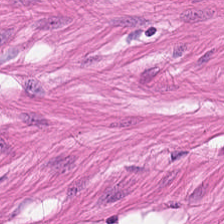H&E-stained tissue section. Tissue = smooth muscle.
